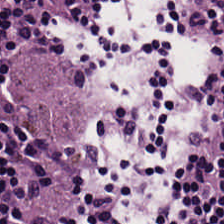Finding — lymphocytes.
